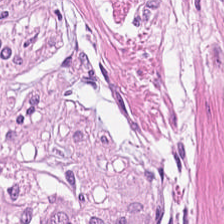224×224 px patch; H&E-stained tissue section. Impression → smooth-muscle tissue.
